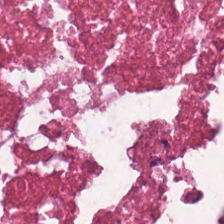H&E-stained tissue section — The predominant tissue is cellular debris.
